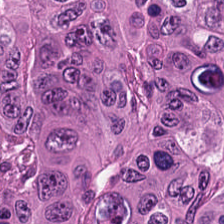Hematoxylin and eosin — The tissue here is colorectal adenocarcinoma epithelium.
